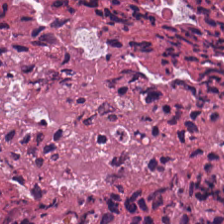Hematoxylin-and-eosin stained section. Brightfield. 0.5 µm/px.
Tissue: cellular debris.
